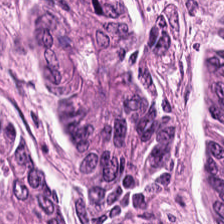This field is adenocarcinoma.
